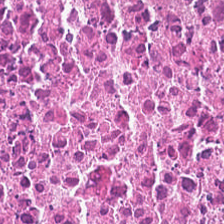20× equivalent magnification · FFPE tissue section · hematoxylin-and-eosin stained section.
Tissue class: debris.
